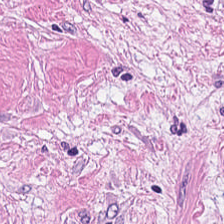This field is desmoplastic stroma.
